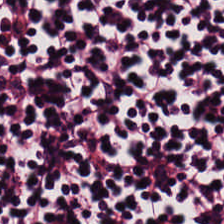Showing lymphocytic infiltrate.
